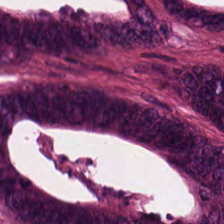Brightfield microscopy. Hematoxylin and eosin — Q: What does this patch show?
A: The field shows tumor epithelium.
